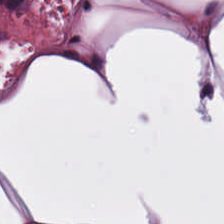H&E. Histology → adipose tissue.
